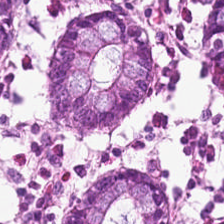Hematoxylin-and-eosin stained section.
Predominantly normal colonic mucosa.
